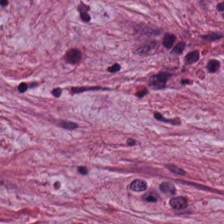H&E. Predominantly desmoplastic stroma.
